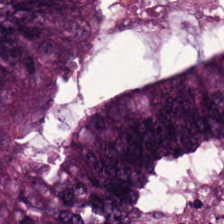Stain: H&E-stained tissue section.
Tissue type: colorectal adenocarcinoma epithelium.
